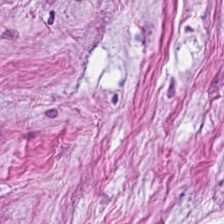{"tissue_type": "tumor-associated stroma"}
